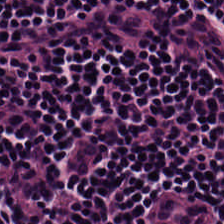H&E — lymphoid infiltrate.
